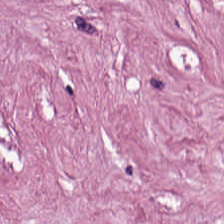Tissue type — tumor-associated stroma.
